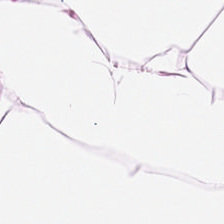Hematoxylin and eosin · 224×224 pixel tile · WSI patch. Tissue class: fat tissue.
